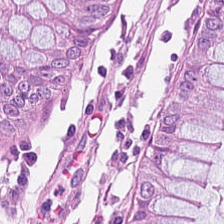Hematoxylin and eosin.
This field is normal colon mucosa.
